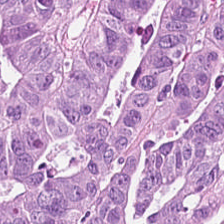H&E patch showing colorectal adenocarcinoma.
